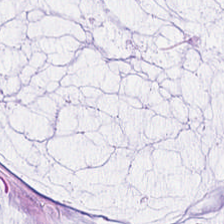224×224 px tile. Formalin-fixed paraffin-embedded section. H&E-stained tissue section.
Predominant tissue = mucin.
